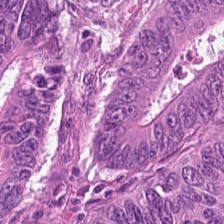Hematoxylin and eosin. Impression — malignant epithelium.
